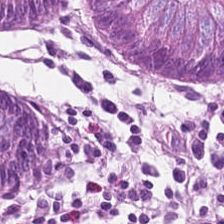Q: What is shown here?
A: It is normal colonic mucosa.
